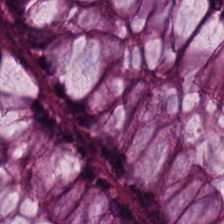H&E-stained tissue section. The tissue class is normal colonic mucosa.
